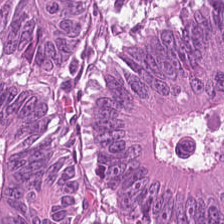Stain: H&E-stained tissue section.
Predominant tissue: tumor epithelium.
